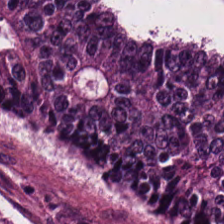H&E — This field is tumor epithelium.
